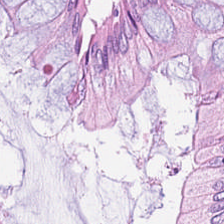Benign colonic mucosa.
